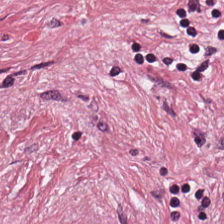This patch shows desmoplastic stroma.
